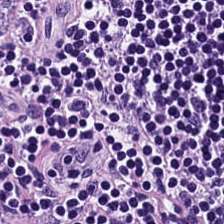224×224 pixel tile · H&E-stained tissue section — Predominant tissue — lymphocyte aggregate.
